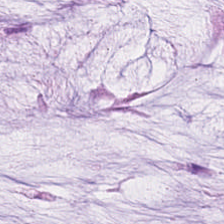Stain: H&E.
Tile size: 224×224 px patch.
Predominant tissue: extracellular mucin.
